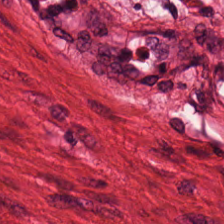H&E stain — Q: What is the predominant tissue type?
A: Muscularis.
